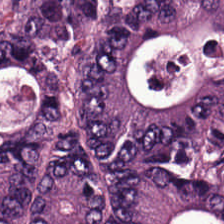Stain: hematoxylin and eosin.
Predominant tissue: colorectal adenocarcinoma.
